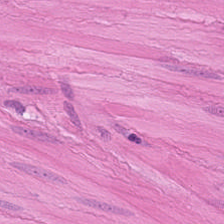H&E. Predominantly muscularis.
